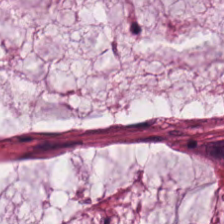Tissue = mucin.
